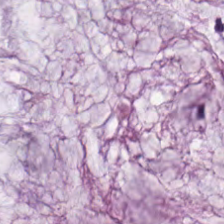Stain: hematoxylin-and-eosin stained section.
Predominant tissue: mucus.
